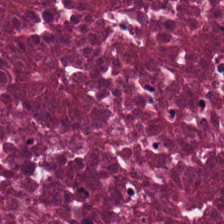Hematoxylin and eosin — Tissue type — necrotic debris.
